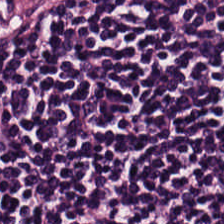Q: Classify this patch.
A: It is lymphocyte aggregate.
